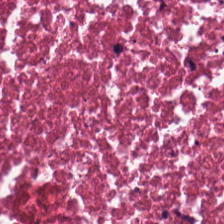Hematoxylin and eosin.
Q: What tissue is shown?
A: The field shows debris.
